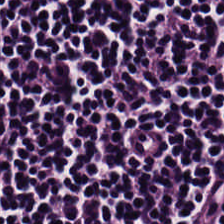H&E stain.
Lymphocyte aggregate.
